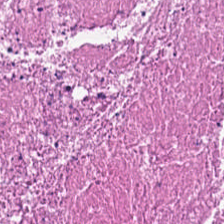0.5 µm per pixel. Hematoxylin and eosin.
Finding — cellular debris.
